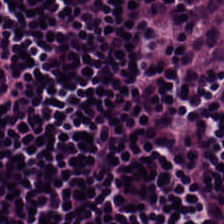H&E-stained tissue section — Showing lymphoid infiltrate.
